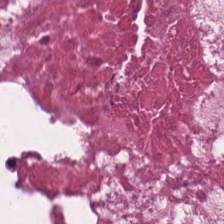Formalin-fixed paraffin-embedded section · H&E-stained tissue section · whole-slide-image patch. {"tissue_type": "debris"}
